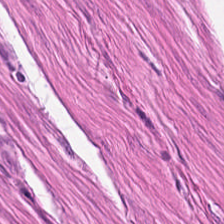Hematoxylin-and-eosin stained section. Q: What does this patch show?
A: It is smooth muscle.
